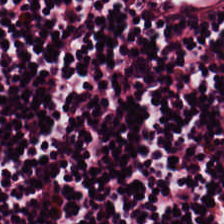H&E stain. FFPE. Whole-slide-image patch — Histology → lymphocyte aggregate.
